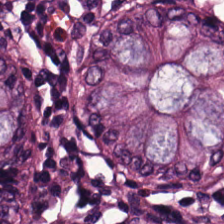Q: What is the predominant tissue type?
A: It is benign colonic mucosa.
